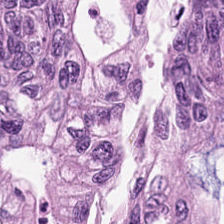H&E-stained section; the field shows adenocarcinoma.
